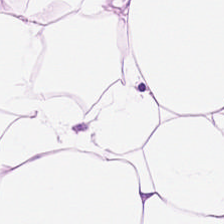Hematoxylin and eosin — Fat tissue.
